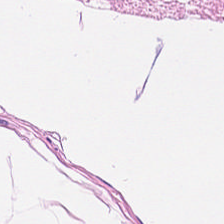Stain: H&E-stained tissue section.
Tissue class: smooth muscle.
